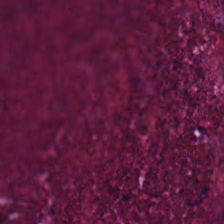H&E-stained tissue section. Tissue class — necrotic debris.
